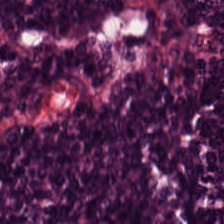H&E stain — Finding — lymphocytes.
